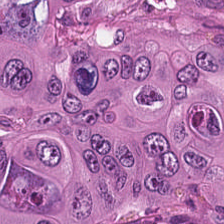FFPE tissue section. Hematoxylin and eosin — This patch shows malignant epithelium.
